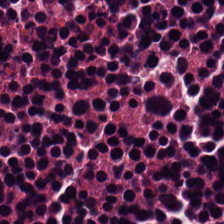Hematoxylin and eosin.
Finding → necrotic debris.
